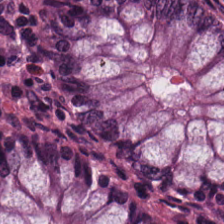224×224 px tile. Hematoxylin and eosin. 0.5 µm per pixel.
This patch shows normal colonic mucosa.
